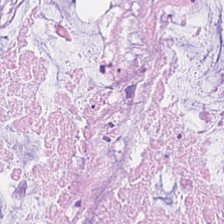Hematoxylin and eosin. Predominantly extracellular mucin.
